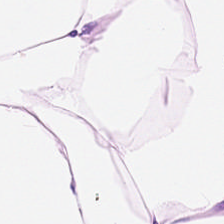Predominant tissue — adipose tissue.
